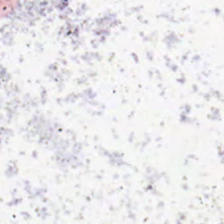0.5 microns per pixel; H&E-stained tissue section — Impression → background (no tissue).
